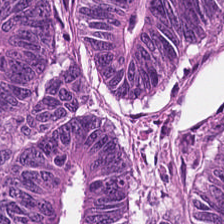Stain: hematoxylin and eosin.
Preparation: formalin-fixed paraffin-embedded section.
Tile size: 224×224 pixel tile.
Tissue: adenocarcinoma.
